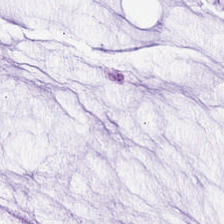Hematoxylin and eosin — Finding → extracellular mucin.
